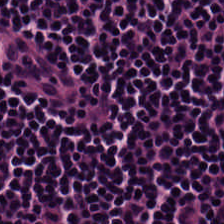FFPE. Hematoxylin-and-eosin stained section. 224×224 px patch.
Q: What is the predominant tissue type?
A: Lymphocytic infiltrate.
